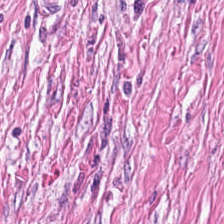Tissue class: cancer-associated stroma.
